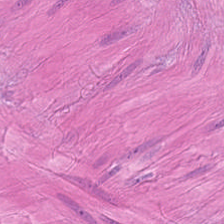Hematoxylin-and-eosin section: smooth-muscle tissue.
